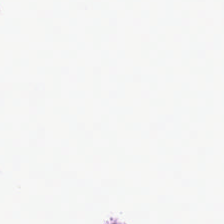H&E.
Field content: background.
